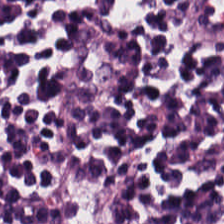Q: Identify the tissue.
A: The field shows lymphocytic infiltrate.
